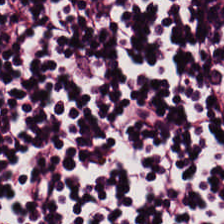Stain: H&E stain.
Predominant tissue: lymphoid infiltrate.
